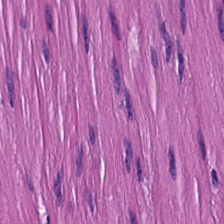Tissue class — muscularis.
